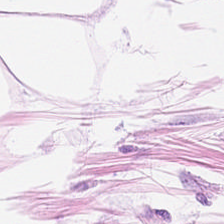Adipocytes.
